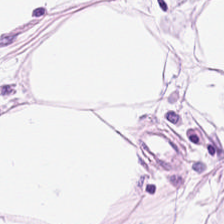Stain: hematoxylin and eosin.
Tissue type: adipocytes.
